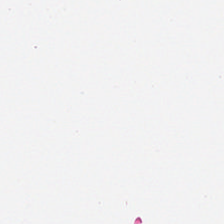Hematoxylin and eosin · 224×224 px patch · 0.5 microns per pixel — Impression → no tissue.
